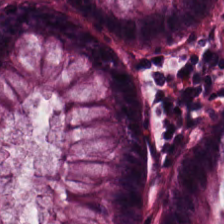FFPE · hematoxylin-and-eosin stained section.
Finding — normal colonic mucosa.
